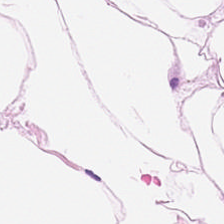Tissue type = adipose.
